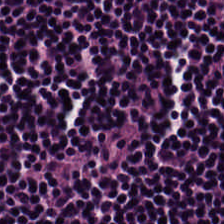Hematoxylin-and-eosin stained section · FFPE.
Impression — lymphocytes.
